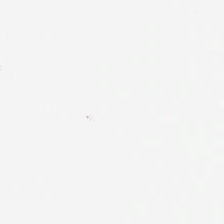H&E stain. Formalin-fixed paraffin-embedded section.
Content = background.
